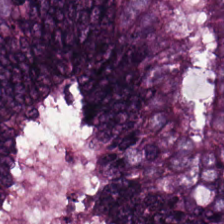Stain: H&E stain.
Tissue type: malignant epithelium.
